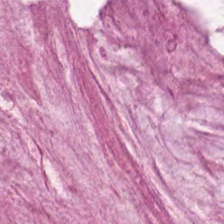Hematoxylin and eosin · 0.5 µm/px — Q: Classify this patch.
A: This is mucus.
